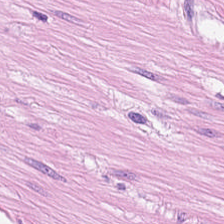Hematoxylin and eosin. Tissue class = smooth-muscle tissue.
